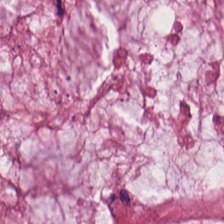224×224 px tile. H&E. Extracellular mucin.
